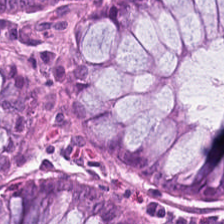H&E · WSI patch — The classification is benign colonic mucosa.
